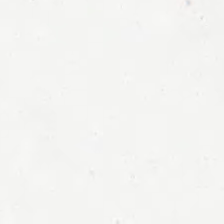The field content is background (no tissue).
